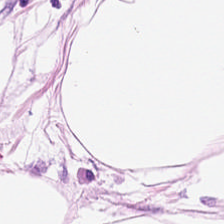Classification = adipocytes.
